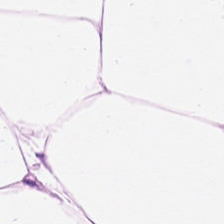H&E stain — This field is adipose tissue.
